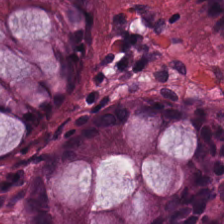H&E stain; 0.5 µm/px; WSI patch. The predominant tissue is normal colonic mucosa.
